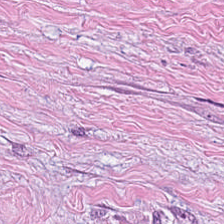H&E — desmoplastic stroma.
